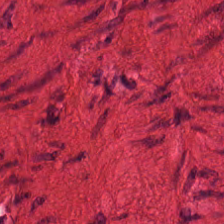FFPE tissue section · hematoxylin-and-eosin stained section.
Impression → muscularis.
